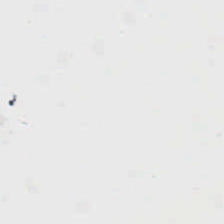Hematoxylin and eosin.
This patch shows no tissue.
